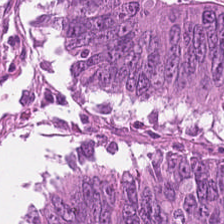Stain: H&E.
Tile size: 224×224 px tile.
Classification: tumor epithelium.
